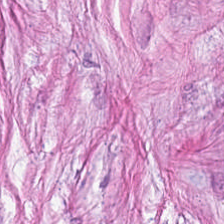Desmoplastic stroma.
